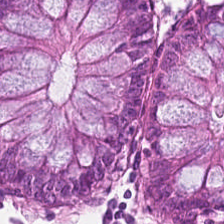Hematoxylin-and-eosin stained section. 0.5 µm per pixel. WSI patch — Tissue type: normal colon mucosa.
